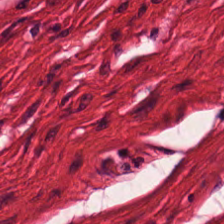Hematoxylin and eosin. 0.5 µm per pixel — Tissue class — smooth muscle.
